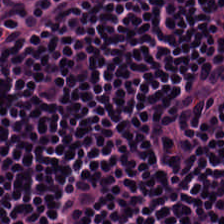H&E-stained tissue section · 224×224 px tile · FFPE. The tissue is lymphocytic infiltrate.
